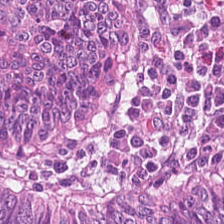Stain: H&E-stained tissue section.
Tissue: colorectal adenocarcinoma epithelium.
